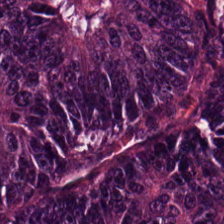Stain: H&E-stained tissue section.
Resolution: 0.5 microns per pixel.
Tissue class: colorectal adenocarcinoma.
